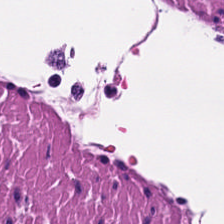224×224 pixel tile · H&E · brightfield. This patch shows smooth-muscle tissue.
